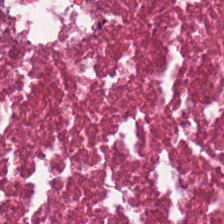H&E. Brightfield. FFPE. Q: What tissue is shown?
A: It is debris.
